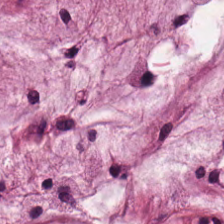This field is extracellular mucin.
